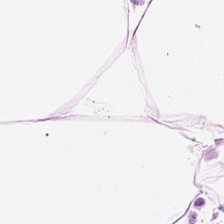H&E-stained tissue section. WSI patch. Predominantly adipose.
